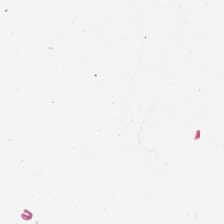Q: Classify this patch.
A: It is empty background.
